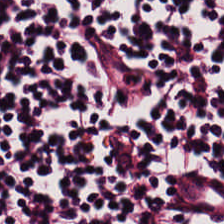Stain: H&E-stained tissue section.
Acquisition: brightfield microscopy.
Tissue: lymphocytes.
